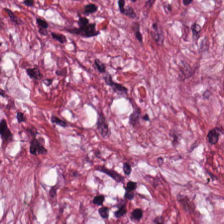Tumor-associated stroma.
